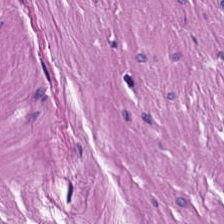Finding → smooth muscle.
